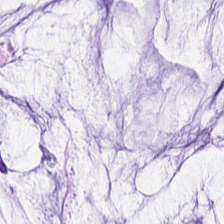Formalin-fixed paraffin-embedded section. Hematoxylin-and-eosin stained section.
Impression → mucus.
